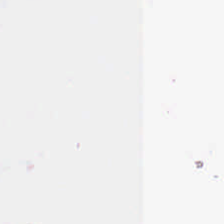FFPE tissue section; H&E stain; brightfield — This field is background (no tissue).
